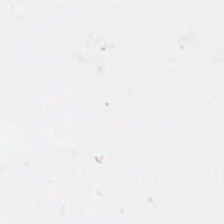224×224 px tile; hematoxylin and eosin. Histology — no tissue.
